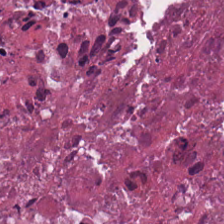H&E-stained section; the field shows debris.
